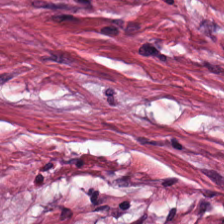H&E.
Desmoplastic stroma.
